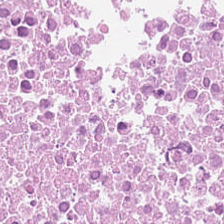Classification = debris.
